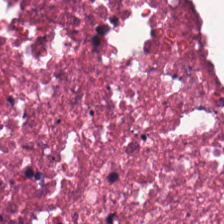224×224 px patch · hematoxylin and eosin.
Q: What is shown in this field?
A: The field shows cellular debris.
